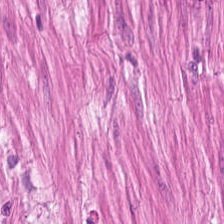Hematoxylin-and-eosin stained section.
Muscularis.
